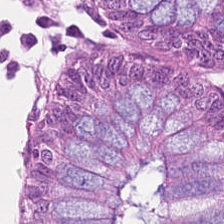0.5 µm/px · H&E. Q: What tissue is shown?
A: This is non-neoplastic colon mucosa.
